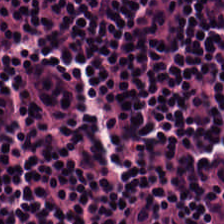20× equivalent magnification; FFPE; H&E stain.
Tissue type = lymphocytic infiltrate.
